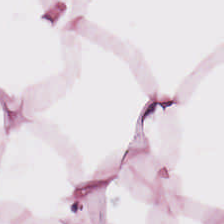Hematoxylin-and-eosin stained section.
Q: Identify the tissue.
A: This is adipose tissue.
